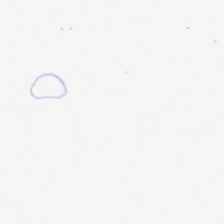H&E stain · 224×224 px patch.
Q: What is shown here?
A: It is background.
